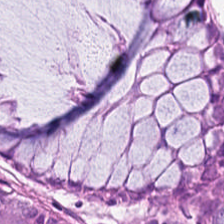0.5 µm/px · H&E stain · FFPE tissue section. This patch shows normal colon mucosa.
